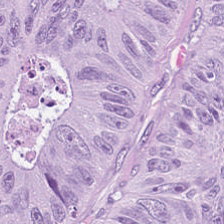Stain: hematoxylin and eosin.
Tissue class: colorectal adenocarcinoma epithelium.
